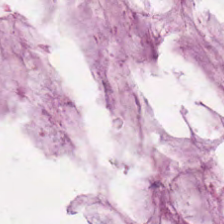Stain: hematoxylin and eosin.
Classification: extracellular mucin.
